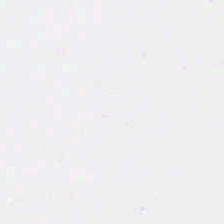Histology → background.
